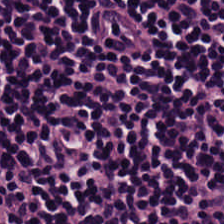Tissue class: lymphocyte aggregate.
